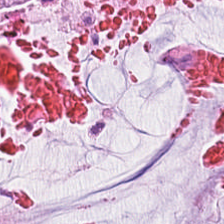H&E-stained tissue section.
This patch shows mucus.
